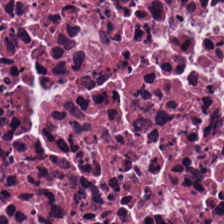Hematoxylin and eosin.
This patch shows debris.
